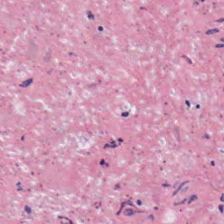Hematoxylin and eosin.
Q: Classify this patch.
A: This is necrotic debris.
